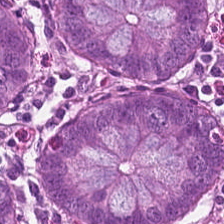Classification = benign colonic mucosa.
